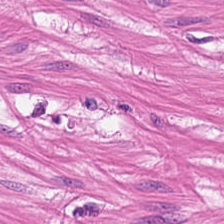224×224 px patch; hematoxylin and eosin; 0.5 µm per pixel.
Q: What tissue type is shown here?
A: It is smooth muscle.
